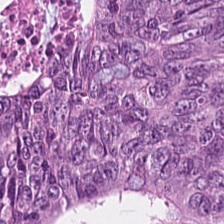Hematoxylin-and-eosin stained section. Brightfield.
Showing tumor epithelium.
